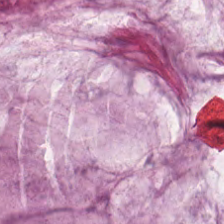H&E stain. Mucin.
